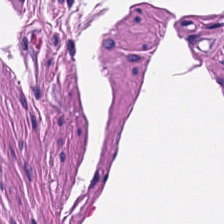224×224 pixel tile; H&E. The tissue class is smooth muscle.
